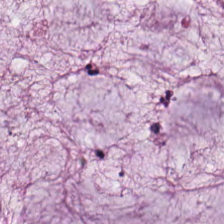H&E-stained tissue section.
Q: What tissue is shown?
A: It is mucin.
